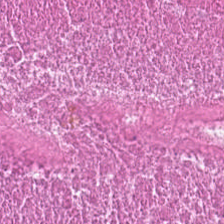Tissue type — debris.
